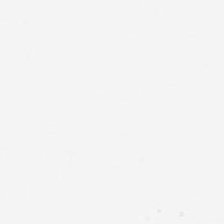H&E stain. Q: What is shown here?
A: This is background.
